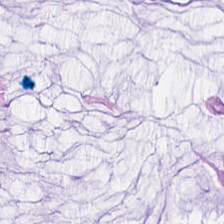Q: Identify the tissue.
A: This is mucin.
